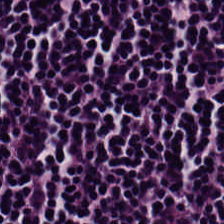224×224 px patch. Hematoxylin-and-eosin stained section.
Showing lymphocytic infiltrate.
